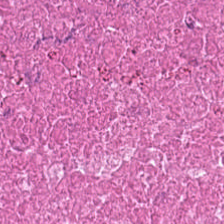Hematoxylin-and-eosin stained section — {"tissue_type": "necrotic debris"}
